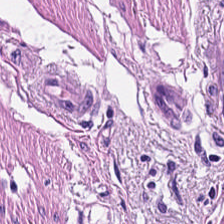H&E.
Q: What is shown here?
A: It is smooth muscle.
